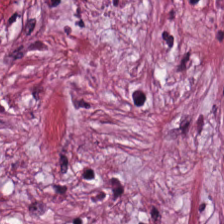Stain: H&E stain.
Tissue class: cancer-associated stroma.
